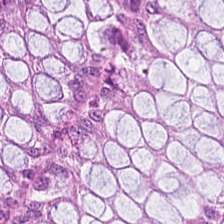Predominant tissue: benign colonic mucosa.
